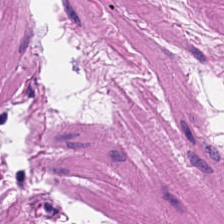FFPE; H&E stain — Impression → smooth-muscle tissue.
